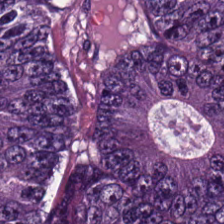Hematoxylin and eosin.
Histology — adenocarcinoma.
